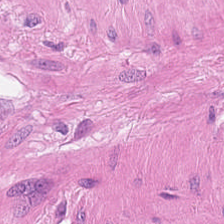0.5 µm/px; H&E. Tissue class: muscularis.
